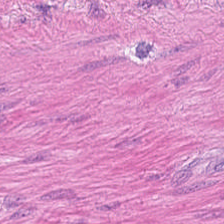Q: What is shown here?
A: Smooth-muscle tissue.
